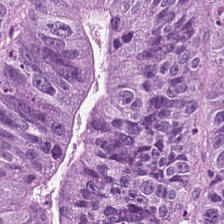Stain: hematoxylin and eosin.
Resolution: 20× equivalent magnification.
Tissue class: adenocarcinoma.
